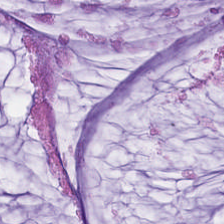H&E-stained tissue section showing mucus.
